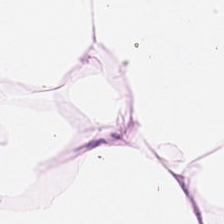20× equivalent magnification. H&E. The tissue class is adipocytes.
